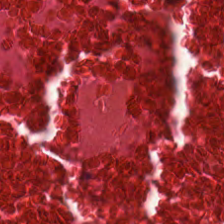Q: What is shown here?
A: Cellular debris.
